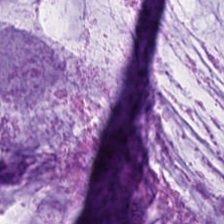Brightfield microscopy; 20× equivalent magnification; H&E.
Q: Classify this patch.
A: The field shows extracellular mucin.
